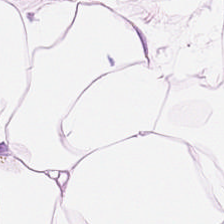Hematoxylin and eosin — The predominant tissue is adipose tissue.
